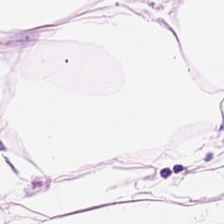H&E-stained section; the field shows adipose tissue.
